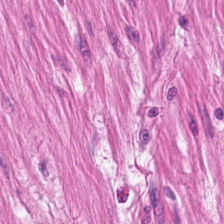H&E-stained tissue section — This field is smooth muscle.
